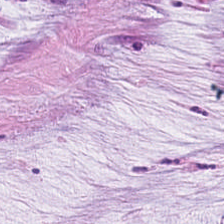H&E-stained tissue section — {"tissue_type": "extracellular mucin"}
